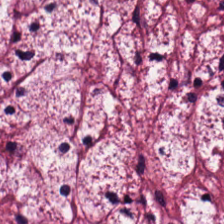H&E stain.
This field is tumor stroma.
